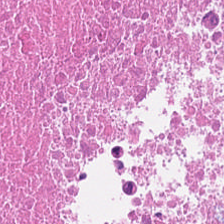Hematoxylin-and-eosin stained section.
Q: What is shown here?
A: This is debris.
